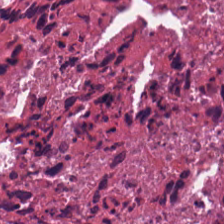0.5 µm per pixel. H&E. Classification = cellular debris.
